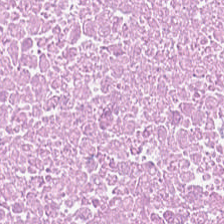Hematoxylin and eosin.
Tissue — debris.
